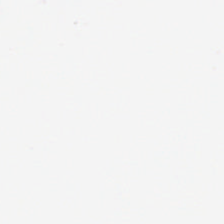Classification: background.
